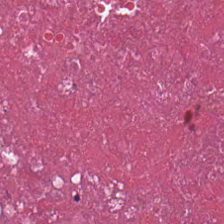H&E — Showing debris.
